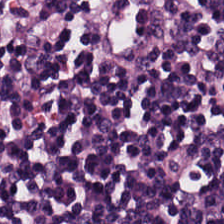Stain: H&E stain.
Tissue class: lymphoid infiltrate.
